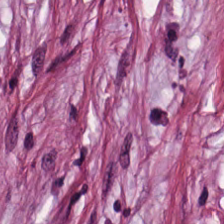Formalin-fixed paraffin-embedded section · H&E. The tissue class is desmoplastic stroma.
